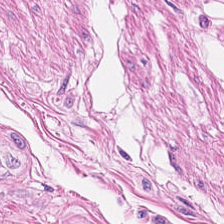Stain: hematoxylin-and-eosin stained section.
Tissue: smooth muscle.
